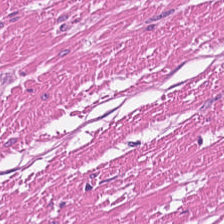224×224 pixel tile; H&E-stained tissue section. The tissue class is smooth muscle.
